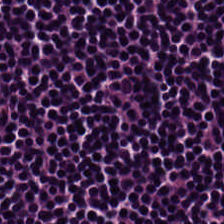H&E stain.
The tissue is lymphocyte aggregate.
